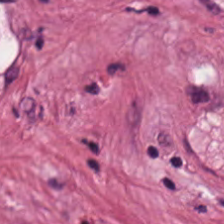Brightfield; H&E; formalin-fixed paraffin-embedded section. Histology → tumor-associated stroma.
